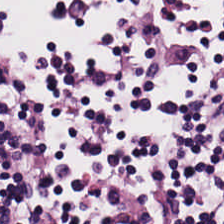Stain: H&E.
Tissue: lymphocyte aggregate.
